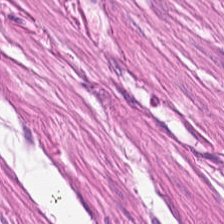Hematoxylin and eosin — Predominantly smooth muscle.
